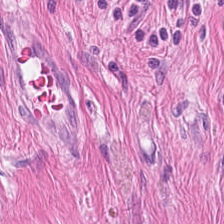H&E stain. 0.5 µm per pixel.
{"tissue_type": "smooth-muscle tissue"}
